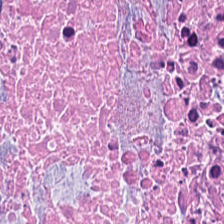H&E-stained tissue section — This field is debris.
